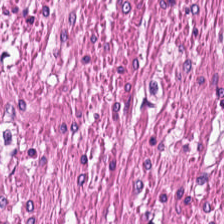Hematoxylin-and-eosin stained section. 0.5 µm/px. The tissue type is smooth-muscle tissue.
